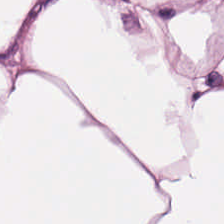H&E stain; 224×224 px tile.
Tissue = adipocytes.
